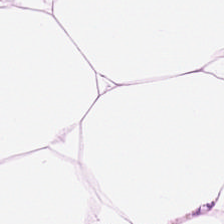FFPE; brightfield; hematoxylin-and-eosin stained section. Predominant tissue — adipocytes.
